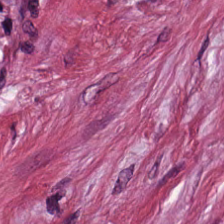H&E.
This patch shows tumor stroma.
